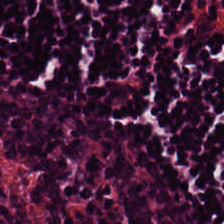H&E-stained tissue section — Finding — lymphocyte aggregate.
